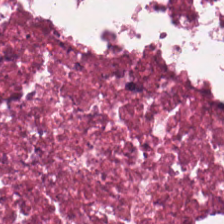Hematoxylin-and-eosin stained section. FFPE. Whole-slide-image patch. The predominant tissue is cellular debris.
